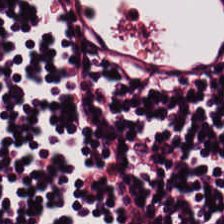H&E-stained tissue section · 0.5 µm/px · FFPE.
The predominant tissue is lymphocytes.
